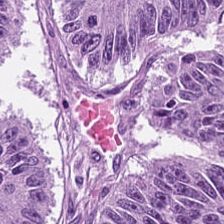FFPE; hematoxylin and eosin. Impression — tumor epithelium.
